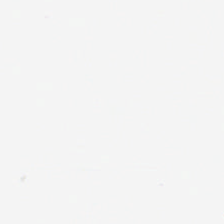H&E-stained tissue section.
This field is background (no tissue).
